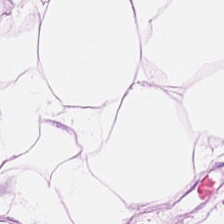Stain: hematoxylin and eosin.
Acquisition: WSI patch.
Classification: adipocytes.
